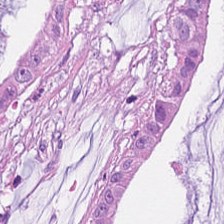H&E stain. The tissue is extracellular mucin.
